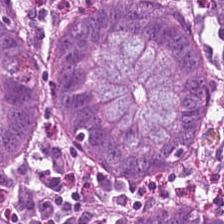H&E-stained tissue section · 0.5 µm/px — Classification = normal colon mucosa.
